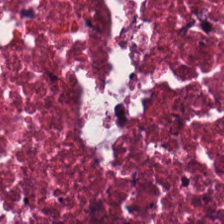H&E stain.
Tissue — necrotic debris.
